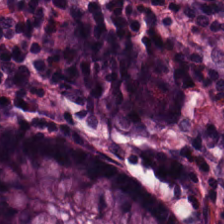Hematoxylin-and-eosin stained section. Tissue type = non-neoplastic colon mucosa.
